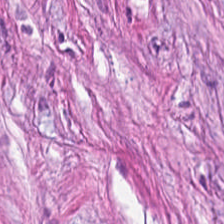H&E-stained tissue section. Q: What is shown here?
A: It is cancer-associated stroma.
